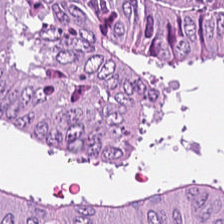Hematoxylin-and-eosin stained section. Q: What tissue type is shown here?
A: This is colorectal adenocarcinoma.
